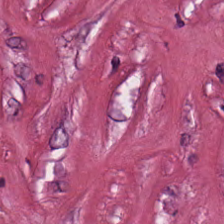H&E. WSI patch. FFPE tissue section. The tissue here is tumor-associated stroma.
